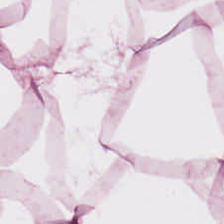Stain: hematoxylin-and-eosin stained section.
Acquisition: WSI patch.
Resolution: 0.5 microns per pixel.
Classification: adipocytes.
